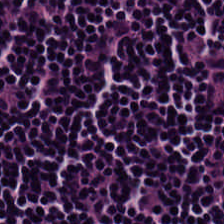Whole-slide-image patch · hematoxylin-and-eosin stained section · 0.5 µm per pixel.
This patch shows lymphoid infiltrate.
